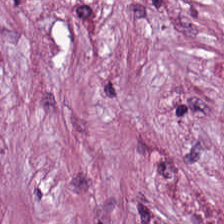224×224 pixel tile · hematoxylin and eosin. The predominant tissue is tumor stroma.
